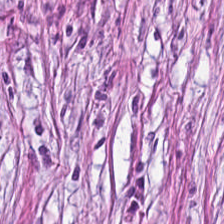H&E stain — Q: What tissue type is shown here?
A: The field shows tumor-associated stroma.
